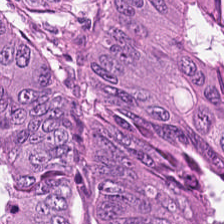Brightfield microscopy; H&E stain; 0.5 µm per pixel. Histology → tumor epithelium.
